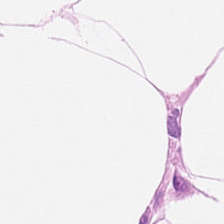H&E stain. Brightfield. Q: What type of tissue is this?
A: Adipose tissue.
